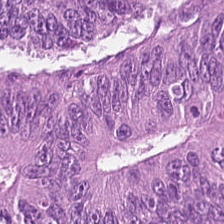Hematoxylin-and-eosin section: tumor epithelium.
